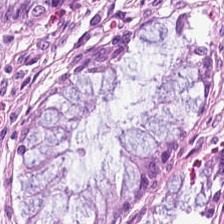Stain: H&E-stained tissue section.
Preparation: formalin-fixed paraffin-embedded section.
Resolution: 0.5 µm per pixel.
Tissue class: benign colonic mucosa.
